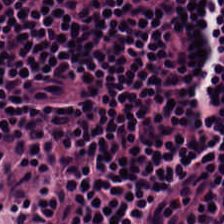H&E patch showing lymphocytes.
